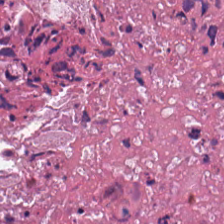Hematoxylin-and-eosin stained section; brightfield; FFPE tissue section. Histology — necrotic debris.
